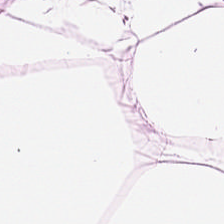Impression — adipose tissue.
